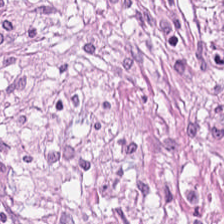Brightfield. H&E. 224×224 px patch.
Tumor-associated stroma.
